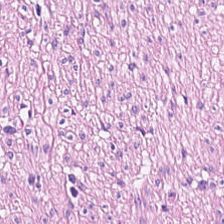Brightfield microscopy · H&E stain — Smooth muscle.
